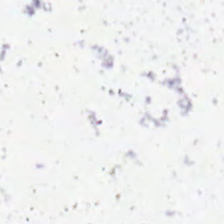H&E stain · 224×224 pixel tile.
This field is background (no tissue).
